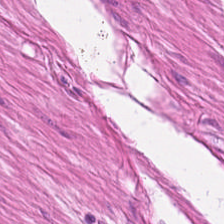224×224 pixel tile; FFPE tissue section; hematoxylin and eosin — Predominantly muscularis.
